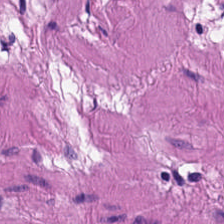H&E. The tissue here is smooth muscle.
